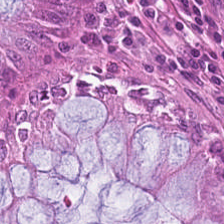H&E · FFPE tissue section · 224×224 pixel tile — Finding — benign colonic mucosa.
